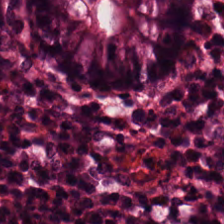H&E patch showing normal colonic mucosa.
